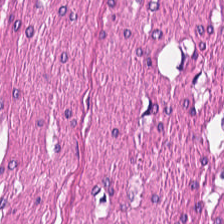H&E stain — Tissue = muscularis.
